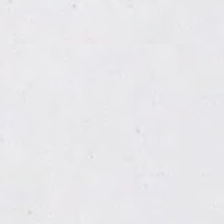H&E stain. Q: What is shown here?
A: This is no tissue.
